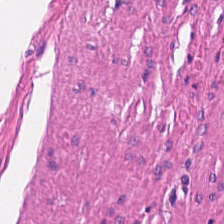FFPE tissue section · 224×224 pixel tile · H&E stain.
{"tissue_type": "smooth muscle"}
